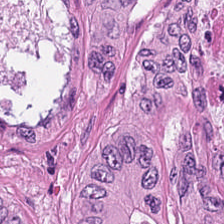224×224 px patch. Brightfield. Hematoxylin and eosin.
Showing colorectal adenocarcinoma epithelium.
